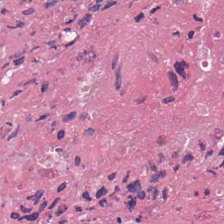Hematoxylin and eosin.
Q: What tissue type is shown here?
A: Necrotic debris.
